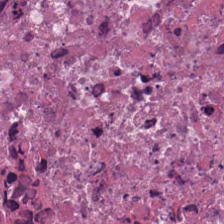Classification: cellular debris.
